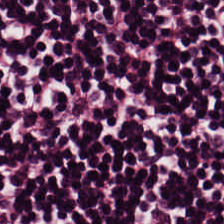This field is lymphocytes.
